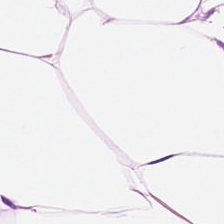Hematoxylin and eosin.
Q: What is shown in this field?
A: This is fat tissue.
